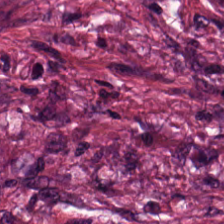Hematoxylin and eosin — Histology — tumor stroma.
